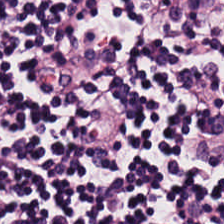Tissue class — lymphocytes.
